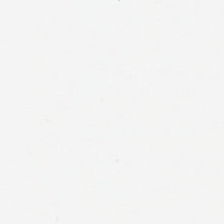H&E; WSI patch; 0.5 microns per pixel — Empty field — background (no tissue).
